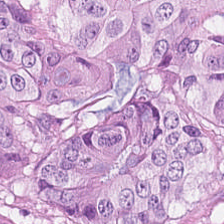H&E stain — Tissue type = colorectal adenocarcinoma.
